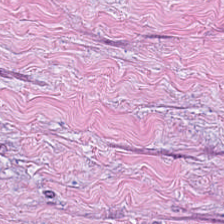Impression → tumor stroma.
